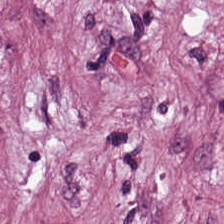H&E-stained tissue section.
Q: Identify the tissue.
A: The field shows tumor-associated stroma.
